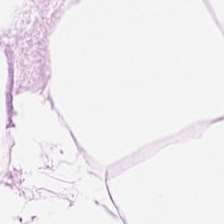Hematoxylin-and-eosin stained section; 0.5 µm/px — This patch shows adipose tissue.
